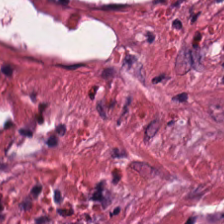Hematoxylin-and-eosin stained section — Tissue = cancer-associated stroma.
